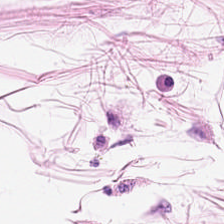H&E-stained section; the field shows adipocytes.
